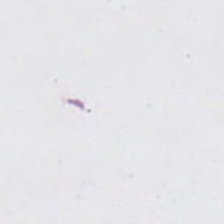{"content": "empty background"}
